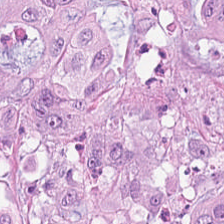The predominant tissue is malignant epithelium.
